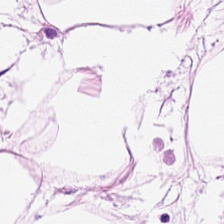H&E.
Predominantly adipose tissue.
